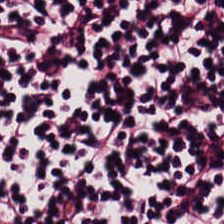H&E-stained tissue section showing lymphoid infiltrate.
